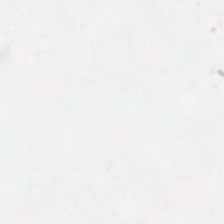This field is background (no tissue).
